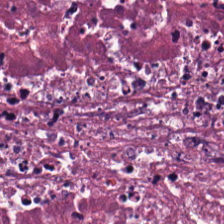Stain: hematoxylin-and-eosin stained section.
Acquisition: whole-slide-image patch.
Tissue class: necrotic debris.
